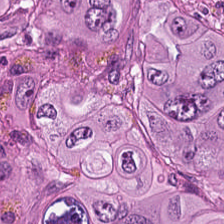H&E-stained tissue section — Impression — adenocarcinoma.
